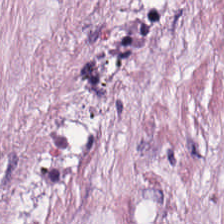Brightfield; formalin-fixed paraffin-embedded section; H&E-stained tissue section.
Tissue class = desmoplastic stroma.
